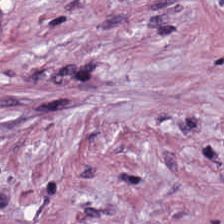Hematoxylin and eosin.
This field is cancer-associated stroma.
